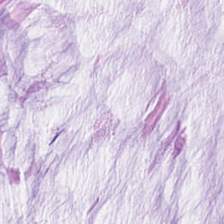Hematoxylin and eosin — The tissue is mucus.
